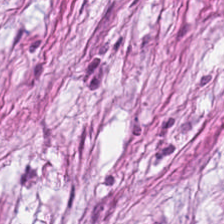H&E stain — Q: Classify this patch.
A: This is tumor-associated stroma.
